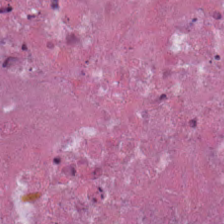H&E stain. Q: What tissue type is shown here?
A: Cellular debris.
